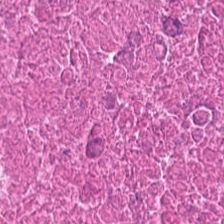Hematoxylin-and-eosin stained section.
Tissue class: cellular debris.
